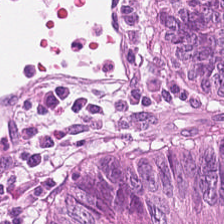Hematoxylin-and-eosin section: colorectal adenocarcinoma epithelium.
